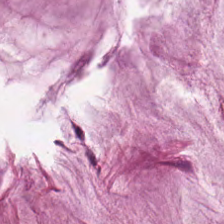H&E.
The predominant tissue is extracellular mucin.
